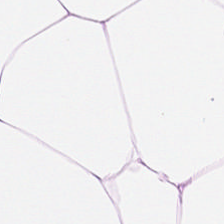FFPE; H&E.
The tissue is adipose.
